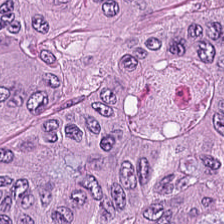H&E stain; formalin-fixed paraffin-embedded section. Histology — colorectal adenocarcinoma epithelium.
